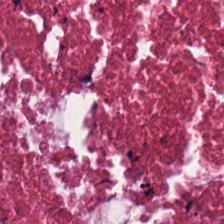H&E — The tissue class is cellular debris.
